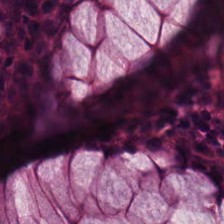H&E-stained tissue section. FFPE. WSI patch.
Impression — normal colonic mucosa.
